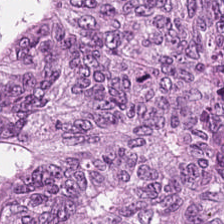Hematoxylin and eosin. Predominantly colorectal adenocarcinoma epithelium.
